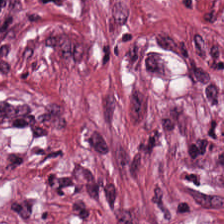FFPE tissue section · hematoxylin-and-eosin stained section. This patch shows tumor stroma.
